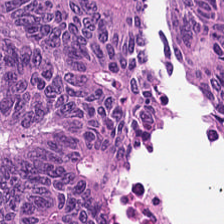FFPE tissue section · H&E stain. This patch shows colorectal adenocarcinoma.
